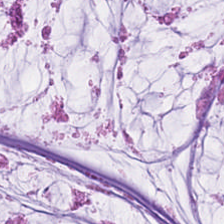Stain: H&E-stained tissue section.
Tissue class: extracellular mucin.
